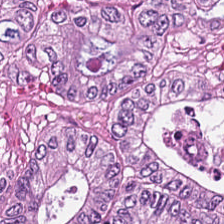0.5 microns per pixel. H&E. FFPE tissue section. Tissue class = colorectal adenocarcinoma.
